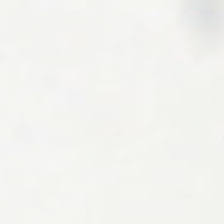Hematoxylin and eosin.
Q: What is shown here?
A: Background.
